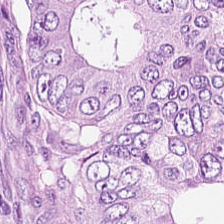H&E.
The classification is adenocarcinoma.
